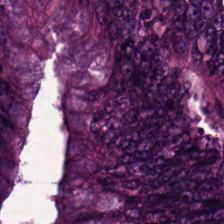The predominant tissue is malignant epithelium.
